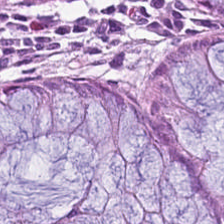Hematoxylin and eosin. Predominant tissue — non-neoplastic colon mucosa.
